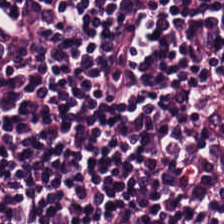Hematoxylin and eosin. 224×224 pixel tile — {"tissue_type": "lymphocytes"}
